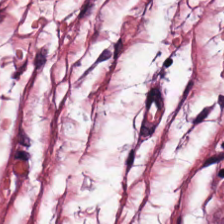H&E-stained tissue section; formalin-fixed paraffin-embedded section; WSI patch.
Histology — tumor stroma.
